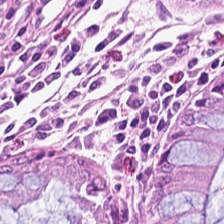Hematoxylin-and-eosin stained section · FFPE tissue section.
Normal colon mucosa.
